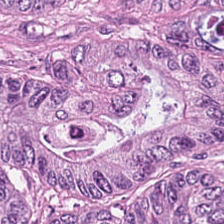H&E patch showing malignant epithelium.
